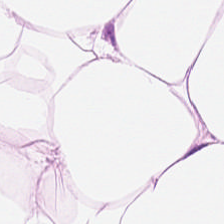H&E · 0.5 microns per pixel · 224×224 pixel tile — Adipose tissue.
